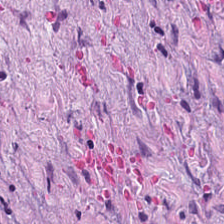H&E — Predominantly desmoplastic stroma.
